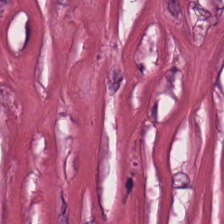Classification = desmoplastic stroma.
